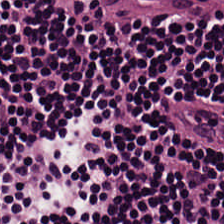Stain: hematoxylin and eosin.
Tissue: lymphoid infiltrate.
